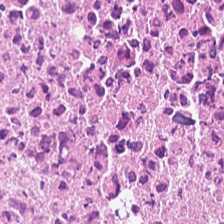0.5 µm per pixel · hematoxylin and eosin.
{"tissue_type": "cellular debris"}
